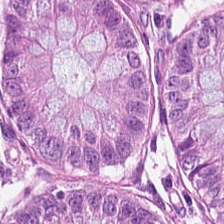H&E stain.
Q: Identify the tissue.
A: Non-neoplastic colon mucosa.
